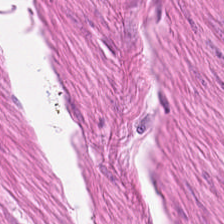Hematoxylin and eosin. 224×224 pixel tile.
Muscularis.
